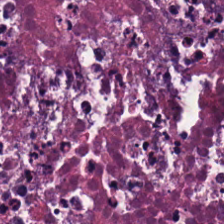224×224 px patch; H&E — This patch shows debris.
